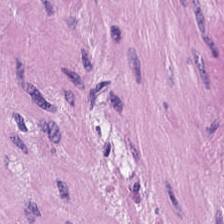Q: What is shown in this field?
A: Smooth muscle.
